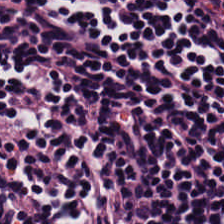Hematoxylin and eosin. Brightfield — This field is lymphoid infiltrate.
